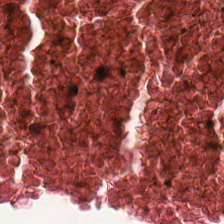This patch shows necrotic debris.
